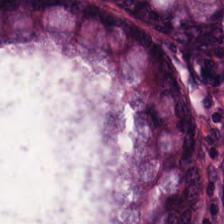Normal colonic mucosa.
